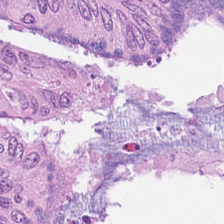H&E-stained tissue section · brightfield · FFPE. Tissue class — tumor epithelium.
